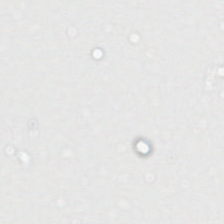FFPE · H&E — Q: What is shown in this field?
A: This is empty background.
